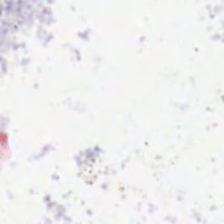Whole-slide-image patch · H&E. Empty field — no tissue.
